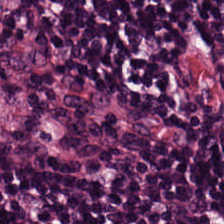FFPE tissue section. Hematoxylin and eosin. 0.5 µm per pixel. Finding — lymphocytic infiltrate.
